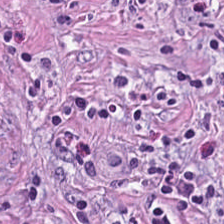Q: What tissue type is shown here?
A: This is tumor stroma.
